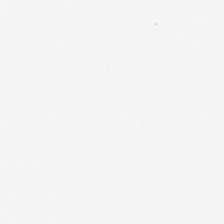Formalin-fixed paraffin-embedded section · H&E-stained tissue section. No tissue present; background only.
